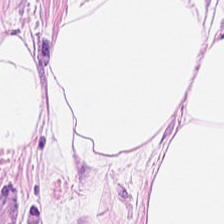H&E stain. Q: What is the predominant tissue type?
A: The field shows fat tissue.
